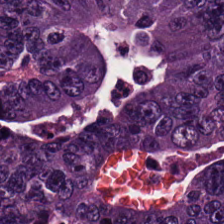H&E stain — Finding → colorectal adenocarcinoma epithelium.
